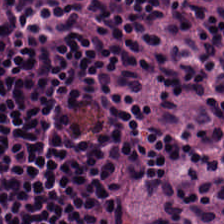Q: Identify the tissue.
A: This is lymphocytic infiltrate.
